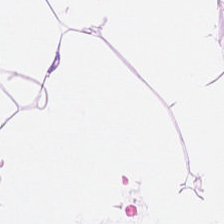Tissue type = fat tissue.
